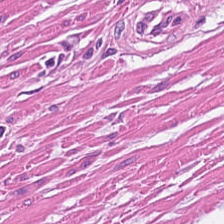Tissue type: smooth muscle.
